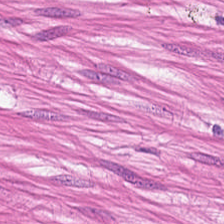Tissue type = muscularis.
